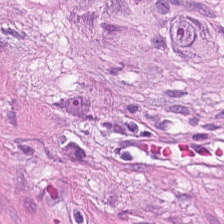Q: Identify the tissue.
A: It is muscularis.
